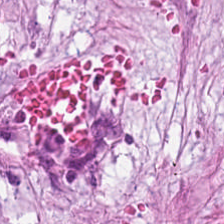Stain: hematoxylin-and-eosin stained section.
Tile size: 224×224 px patch.
Resolution: 0.5 µm/px.
Tissue class: tumor stroma.
